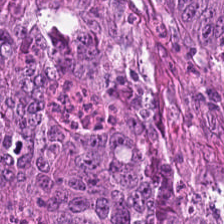H&E-stained tissue section. 0.5 microns per pixel. Showing tumor epithelium.
